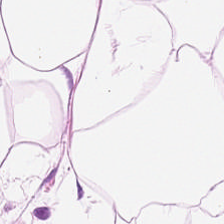H&E-stained tissue section — Impression — adipose.
